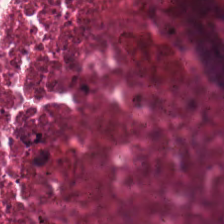Hematoxylin-and-eosin stained section · 224×224 pixel tile · brightfield. This field is debris.
